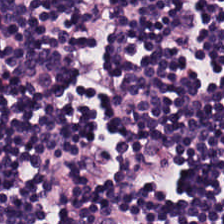{"tissue_type": "lymphocyte aggregate"}
